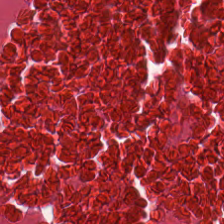H&E — Histology → cellular debris.
